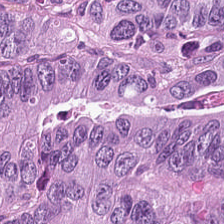Hematoxylin-and-eosin stained section.
Tissue class — colorectal adenocarcinoma.
